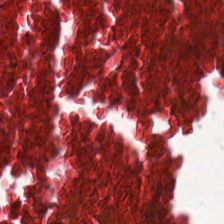Hematoxylin and eosin.
Q: What does this patch show?
A: The field shows debris.
